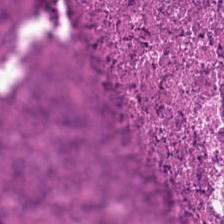H&E-stained tissue section. The tissue here is necrotic debris.
